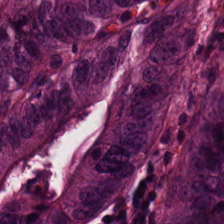The tissue is tumor epithelium.
